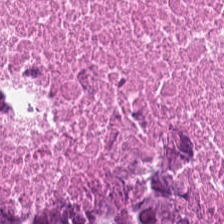H&E stain — Finding → necrotic debris.
